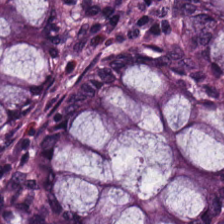Hematoxylin-and-eosin stained section. FFPE tissue section.
The predominant tissue is benign colonic mucosa.
